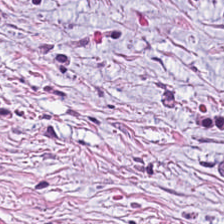H&E stain. Q: Classify this patch.
A: The field shows cancer-associated stroma.
